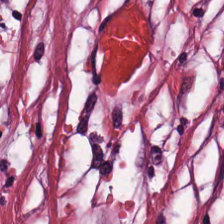Tissue: desmoplastic stroma.
